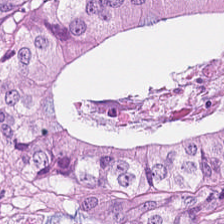Predominant tissue = colorectal adenocarcinoma.
